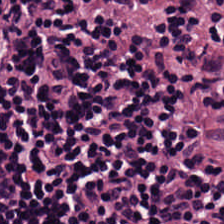H&E — Showing lymphocytic infiltrate.
